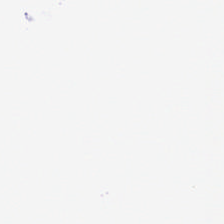H&E-stained tissue section.
Q: Classify this patch.
A: No tissue.
